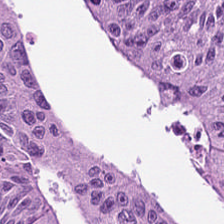Tissue type — colorectal adenocarcinoma epithelium.
